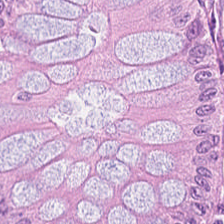Hematoxylin-and-eosin stained section · WSI patch.
{"tissue_type": "normal colon mucosa"}
